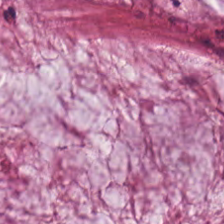Q: Identify the tissue.
A: The field shows extracellular mucin.
